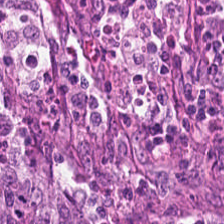FFPE. Hematoxylin-and-eosin stained section. 20× equivalent magnification. Q: What is shown in this field?
A: This is colorectal adenocarcinoma.
